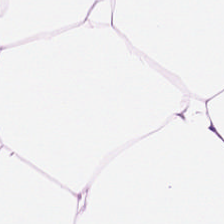Hematoxylin-and-eosin stained section. 224×224 px patch.
The tissue here is adipocytes.
